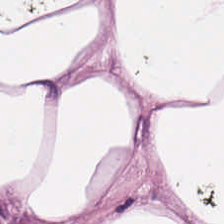Adipocytes.
